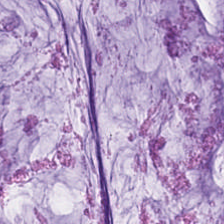Q: What is shown here?
A: It is mucus.
